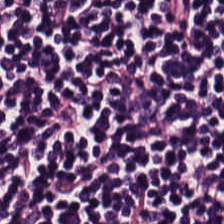H&E-stained tissue section — The tissue here is lymphocytic infiltrate.
